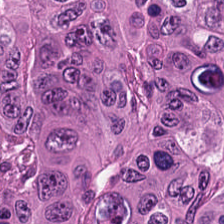Hematoxylin and eosin. {"tissue_type": "colorectal adenocarcinoma epithelium"}
